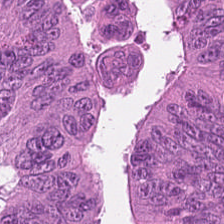Hematoxylin-and-eosin stained section.
The tissue here is colorectal adenocarcinoma.
